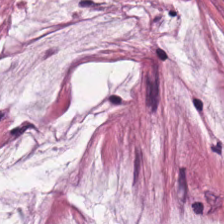Tissue = extracellular mucin.
